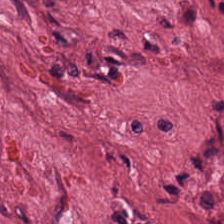H&E-stained tissue section.
Tissue: cancer-associated stroma.
